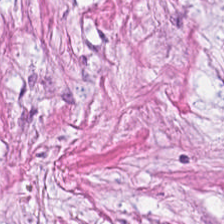H&E stain.
Q: What is shown here?
A: This is tumor-associated stroma.
